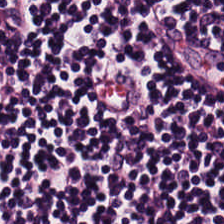H&E stain. Tissue — lymphocytic infiltrate.
